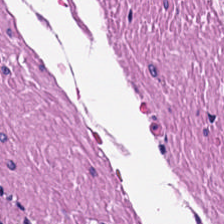Classification — muscularis.
